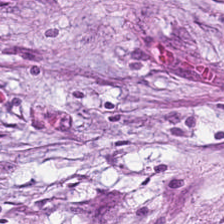The predominant tissue is desmoplastic stroma.
